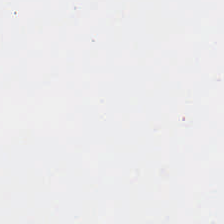Whole-slide-image patch. Hematoxylin-and-eosin stained section.
No tissue present; background only.
